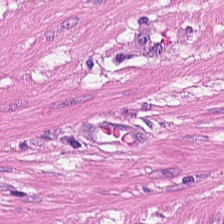Hematoxylin and eosin — Histology → muscularis.
